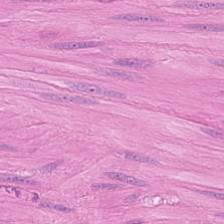{"tissue_type": "muscularis"}
